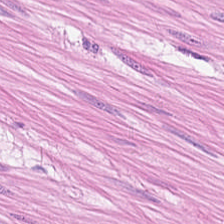H&E-stained tissue section. Q: What does this patch show?
A: Smooth-muscle tissue.
